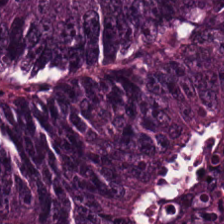H&E stain. This field is adenocarcinoma.
